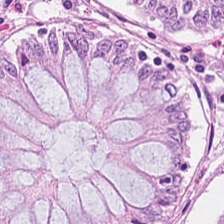H&E stain. This patch shows benign colonic mucosa.
